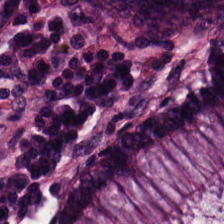Hematoxylin-and-eosin stained section.
Predominantly non-neoplastic colon mucosa.
